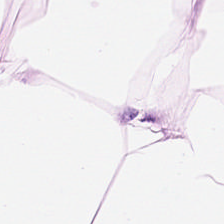Hematoxylin and eosin — Classification: adipocytes.
